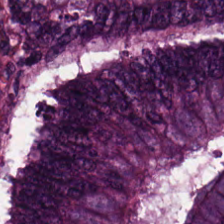Stain: H&E stain.
Classification: colorectal adenocarcinoma epithelium.
